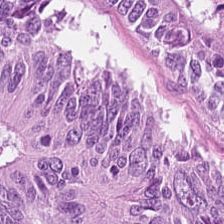224×224 px patch · H&E stain.
The predominant tissue is colorectal adenocarcinoma.
